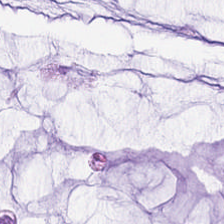224×224 px patch · H&E.
Histology → extracellular mucin.
